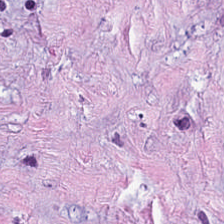H&E · 224×224 px tile. Finding — desmoplastic stroma.
